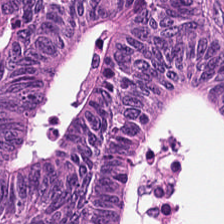H&E-stained tissue section. Q: Identify the tissue.
A: This is adenocarcinoma.
